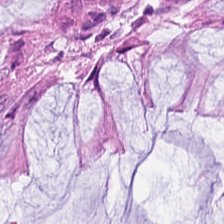H&E stain — Q: Identify the tissue.
A: It is non-neoplastic colon mucosa.
